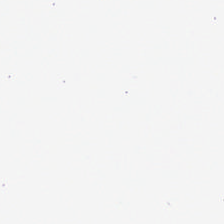Hematoxylin-and-eosin stained section — Background — no tissue in this field.
